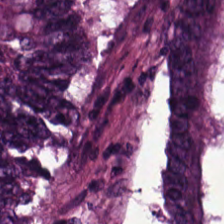Stain: hematoxylin-and-eosin stained section.
Tissue class: malignant epithelium.
